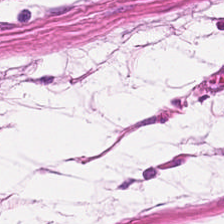H&E-stained tissue section. Predominant tissue: smooth muscle.
